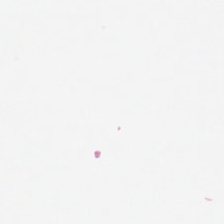Stain: H&E stain.
Content: empty background.
